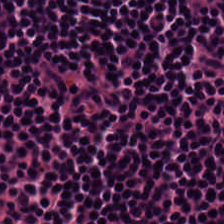H&E; 224×224 pixel tile; 20× equivalent magnification. The classification is lymphoid infiltrate.
